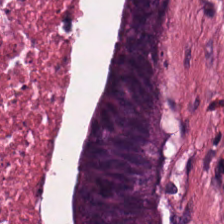Hematoxylin and eosin — The tissue here is cellular debris.
